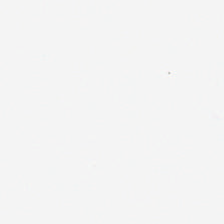H&E stain.
This field is background (no tissue).
